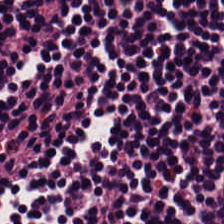This field is lymphocytes.
